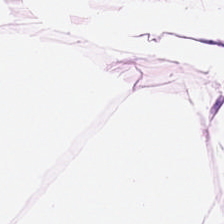This field is adipose tissue.
